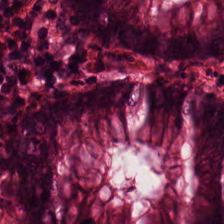H&E.
{"tissue_type": "normal colonic mucosa"}
